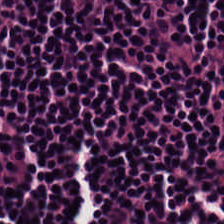0.5 microns per pixel. WSI patch. Hematoxylin and eosin — Showing lymphocytes.
